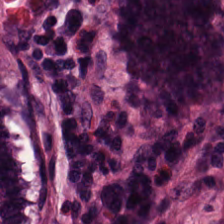Q: Classify this patch.
A: Normal colon mucosa.
